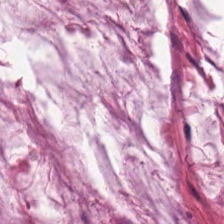Hematoxylin and eosin · formalin-fixed paraffin-embedded section.
Q: What type of tissue is this?
A: Mucus.
